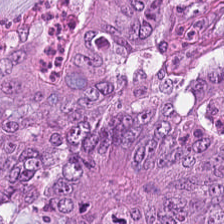H&E stain.
Predominant tissue — adenocarcinoma.
